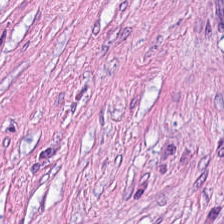Hematoxylin-and-eosin section: tumor stroma.
